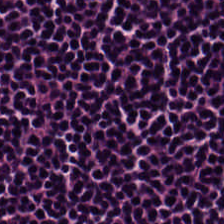Hematoxylin-and-eosin stained section — Predominantly lymphoid infiltrate.
